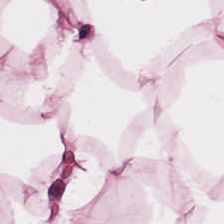Q: What is shown here?
A: Adipocytes.
